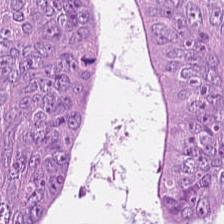FFPE tissue section; hematoxylin-and-eosin stained section; 224×224 px patch. Tissue class — malignant epithelium.
